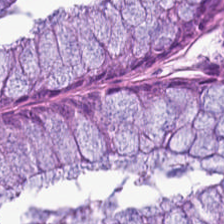224×224 px patch · H&E.
This patch shows benign colonic mucosa.
